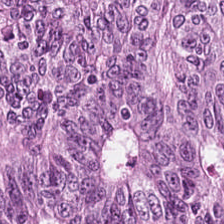Hematoxylin-and-eosin stained section; formalin-fixed paraffin-embedded section. This field is colorectal adenocarcinoma epithelium.
